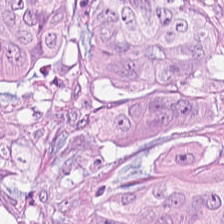H&E — tumor epithelium.
